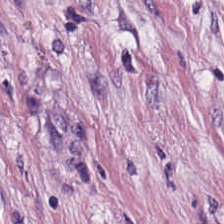Hematoxylin and eosin. Showing tumor-associated stroma.
